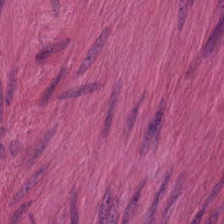Hematoxylin-and-eosin stained section — Tissue — smooth muscle.
